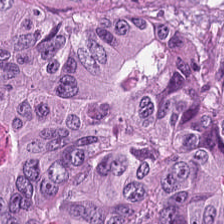Hematoxylin and eosin. This patch shows tumor epithelium.
